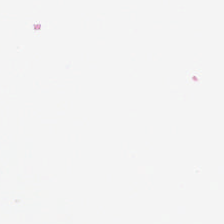Hematoxylin-and-eosin stained section. WSI patch. FFPE tissue section — Content — empty background.
